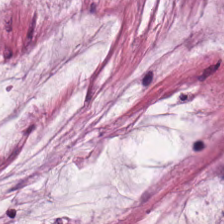Stain: H&E-stained tissue section.
Tissue class: mucin.
